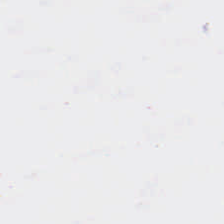Q: What is shown in this field?
A: This is background (no tissue).
